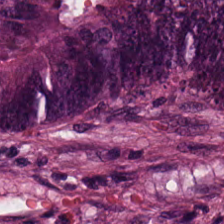Hematoxylin-and-eosin stained section.
Tissue — colorectal adenocarcinoma epithelium.
